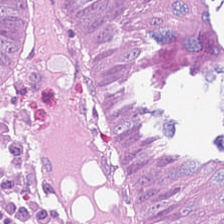Hematoxylin and eosin.
Impression — adenocarcinoma.
